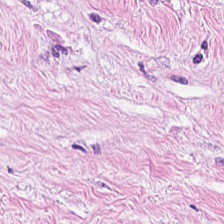Whole-slide-image patch; hematoxylin-and-eosin stained section.
Predominant tissue = tumor stroma.
